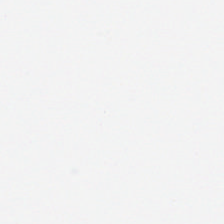Finding — empty background.
